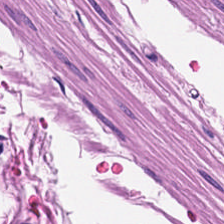H&E-stained tissue section; 20× equivalent magnification — Tissue class — smooth-muscle tissue.
